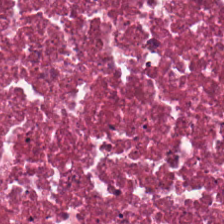FFPE; hematoxylin-and-eosin stained section; 224×224 px patch.
Tissue: cellular debris.
